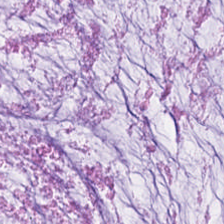Finding — extracellular mucin.
